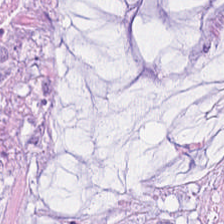H&E-stained tissue section.
Q: Identify the tissue.
A: The field shows mucin.
